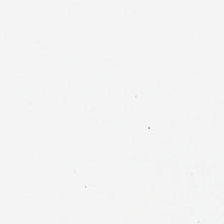Q: What does this patch show?
A: The field shows background.
